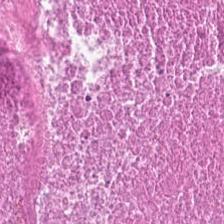FFPE · hematoxylin-and-eosin stained section.
The tissue here is cellular debris.
